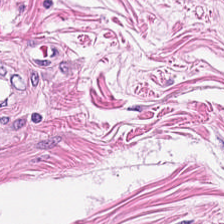H&E · whole-slide-image patch · formalin-fixed paraffin-embedded section. This field is smooth muscle.
